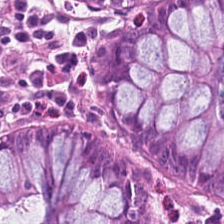H&E — Showing benign colonic mucosa.
